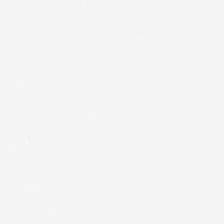H&E stain. FFPE tissue section. Q: What is shown in this field?
A: This is background.
